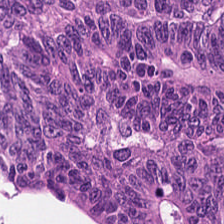Predominantly malignant epithelium.
